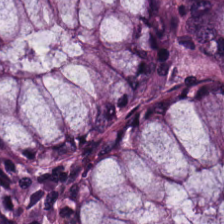Formalin-fixed paraffin-embedded section. 0.5 microns per pixel. Hematoxylin and eosin. Showing normal colon mucosa.
